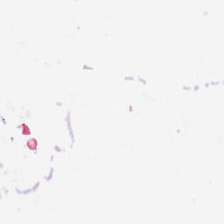H&E. Finding — empty background.
